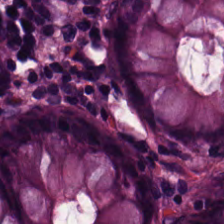Stain: hematoxylin-and-eosin stained section.
Tissue class: normal colonic mucosa.
